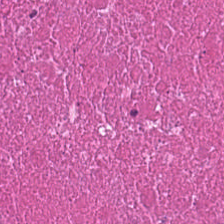H&E · 224×224 px tile.
The tissue here is necrotic debris.
